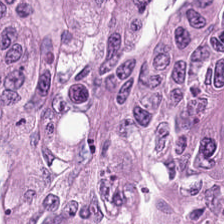Tissue class = malignant epithelium.
